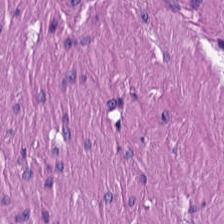{"tissue_type": "muscularis"}
